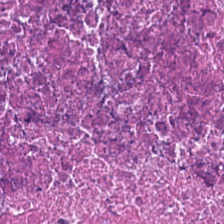Stain: hematoxylin and eosin.
Predominant tissue: necrotic debris.
